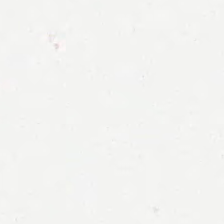Stain: H&E.
Content: no tissue.
